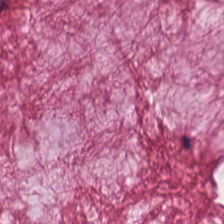H&E-stained tissue section.
Impression → mucin.
